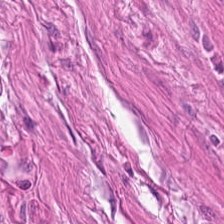Hematoxylin and eosin. Showing smooth-muscle tissue.
